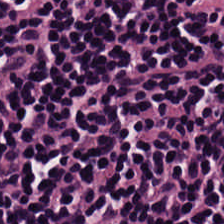Hematoxylin-and-eosin stained section; brightfield. Q: What tissue is shown?
A: Lymphocytic infiltrate.
